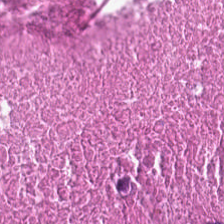Hematoxylin and eosin.
Finding — cellular debris.
